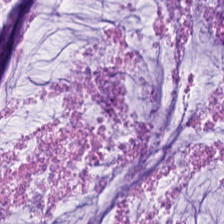H&E. Histology → mucin.
